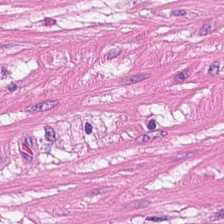H&E-stained tissue section · 224×224 pixel tile · 0.5 µm per pixel.
Tissue class — muscularis.
